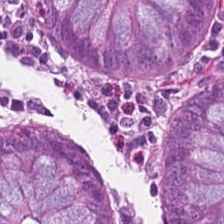Tissue class: normal colon mucosa.
